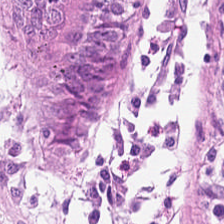Q: What is the predominant tissue type?
A: The field shows normal colon mucosa.
